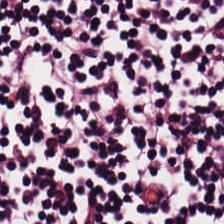The tissue here is lymphocyte aggregate.
